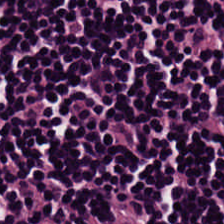H&E-stained tissue section · brightfield microscopy · 0.5 µm/px. Showing lymphocytic infiltrate.
